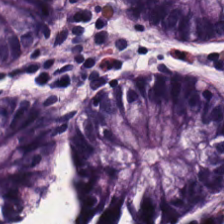224×224 px patch; 0.5 microns per pixel; hematoxylin and eosin.
Q: What tissue is shown?
A: It is normal colonic mucosa.
